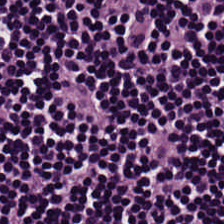Hematoxylin-and-eosin stained section.
The predominant tissue is lymphoid infiltrate.
